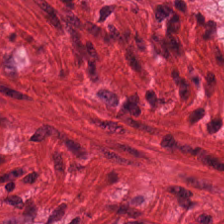Hematoxylin and eosin.
Smooth muscle.
